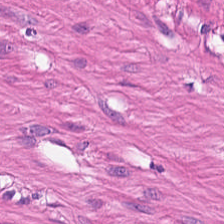H&E-stained tissue section. {"tissue_type": "smooth-muscle tissue"}
